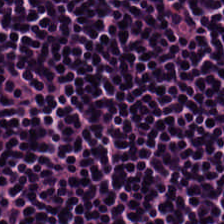H&E — The tissue here is lymphocytic infiltrate.
